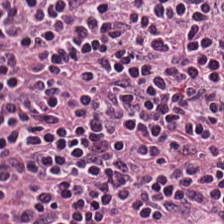H&E stain — Predominant tissue — lymphocyte aggregate.
